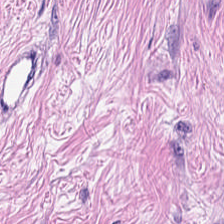H&E stain. This field is cancer-associated stroma.
